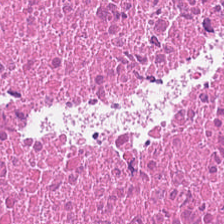224×224 px patch; H&E-stained tissue section; FFPE.
Q: What is shown here?
A: It is debris.
